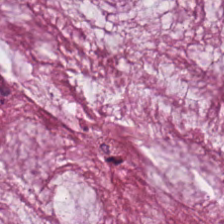H&E-stained tissue section. Brightfield.
Extracellular mucin.
